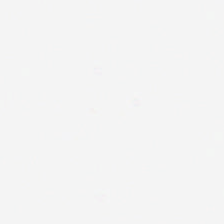Content — empty background.
